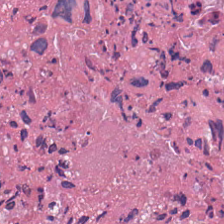Hematoxylin and eosin — The predominant tissue is necrotic debris.
